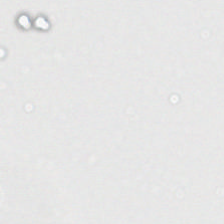Hematoxylin and eosin. Formalin-fixed paraffin-embedded section — This field is background (no tissue).
